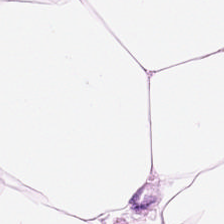Stain: H&E-stained tissue section.
Tile size: 224×224 px patch.
Acquisition: brightfield microscopy.
Tissue: adipose tissue.
